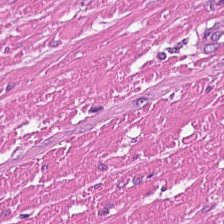Hematoxylin and eosin.
Tissue type = muscularis.
